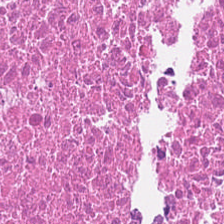H&E — Q: Identify the tissue.
A: Debris.
